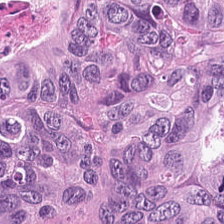FFPE tissue section. Hematoxylin and eosin.
Tissue class — colorectal adenocarcinoma.
